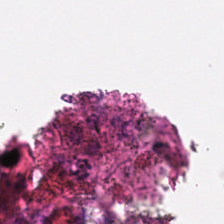The content is no tissue.
